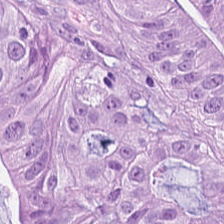H&E — Q: What tissue is shown?
A: It is colorectal adenocarcinoma.
